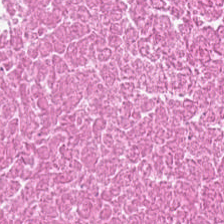FFPE. H&E-stained tissue section.
Impression — debris.
